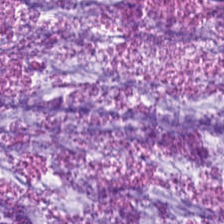H&E-stained tissue section — The tissue here is mucin.
